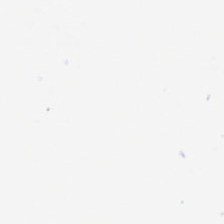Hematoxylin and eosin.
Q: What is shown here?
A: No tissue.
